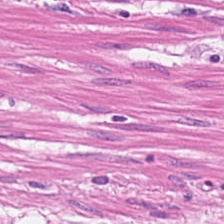H&E-stained tissue section.
This patch shows muscularis.
